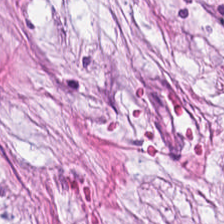Cancer-associated stroma.
